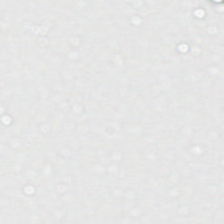H&E-stained tissue section. 20× equivalent magnification — No tissue present; background only.
